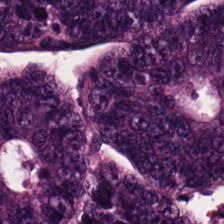H&E-stained section; the field shows colorectal adenocarcinoma epithelium.
